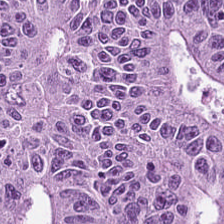H&E.
The tissue is adenocarcinoma.
